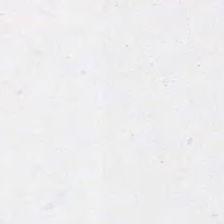Stain: H&E-stained tissue section.
Field content: empty background.
